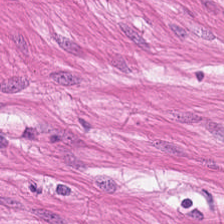0.5 microns per pixel; H&E stain — Classification = smooth-muscle tissue.
